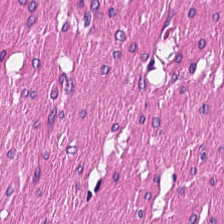Hematoxylin-and-eosin stained section.
Q: What is shown here?
A: Smooth muscle.
